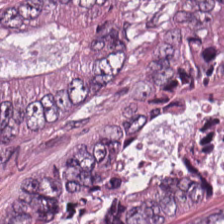H&E stain; 224×224 px tile — Impression — adenocarcinoma.
